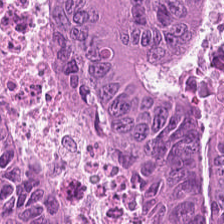H&E · formalin-fixed paraffin-embedded section — Histology — tumor epithelium.
